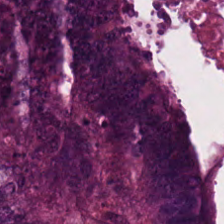H&E-stained tissue section.
The predominant tissue is colorectal adenocarcinoma epithelium.
